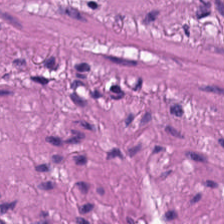FFPE tissue section. Hematoxylin and eosin. Smooth muscle.
